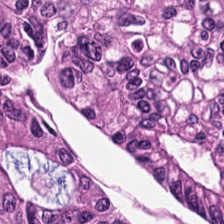H&E stain — Q: What is shown here?
A: The field shows malignant epithelium.
